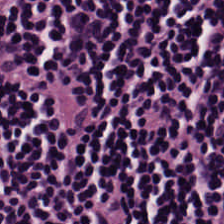This field is lymphocyte aggregate.
